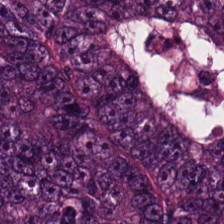Q: Identify the tissue.
A: It is malignant epithelium.
